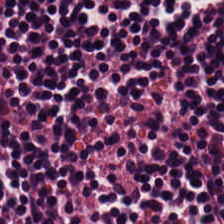H&E-stained tissue section. Formalin-fixed paraffin-embedded section — Histology → lymphocytes.
